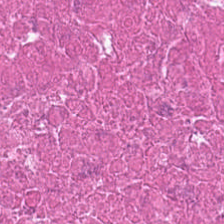FFPE · H&E stain — This patch shows debris.
